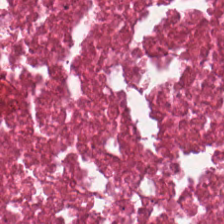H&E — Q: What is shown here?
A: Necrotic debris.
